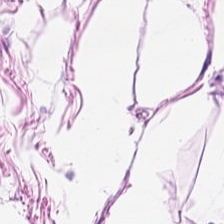H&E patch showing fat tissue.
